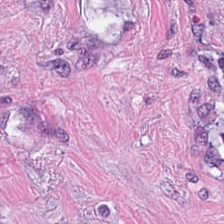Hematoxylin and eosin. Impression — cancer-associated stroma.
